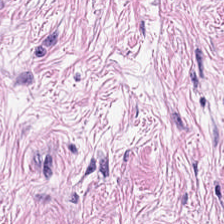Hematoxylin and eosin — Finding — tumor-associated stroma.
